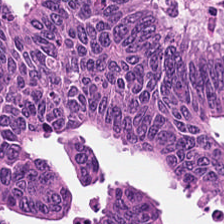224×224 px patch; hematoxylin-and-eosin stained section.
Tissue: adenocarcinoma.
